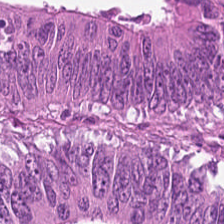Tissue class — adenocarcinoma.
